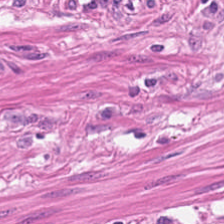Hematoxylin and eosin.
{"tissue_type": "smooth muscle"}
